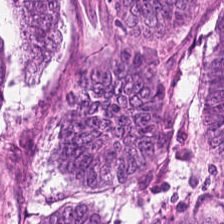20× equivalent magnification · whole-slide-image patch · H&E.
{"tissue_type": "colorectal adenocarcinoma"}
